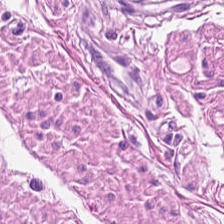Finding — muscularis.
